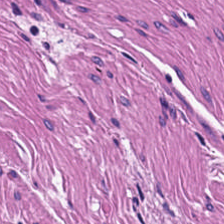Brightfield; hematoxylin-and-eosin stained section — This field is muscularis.
